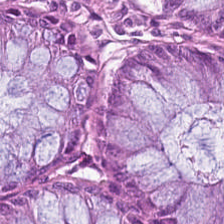H&E-stained tissue section · FFPE tissue section · 224×224 px tile. Finding — benign colonic mucosa.
